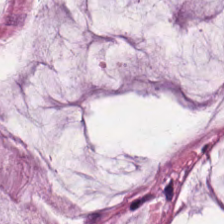{"tissue_type": "mucus"}
